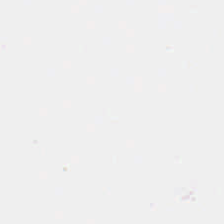Brightfield · 224×224 px patch · hematoxylin and eosin. No tissue.
